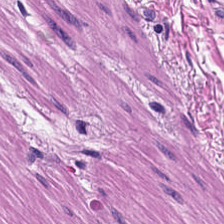Hematoxylin-and-eosin stained section. Showing smooth-muscle tissue.
